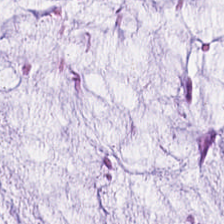Hematoxylin and eosin — Q: Classify this patch.
A: It is extracellular mucin.
